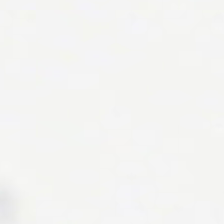H&E stain.
Impression — empty background.
